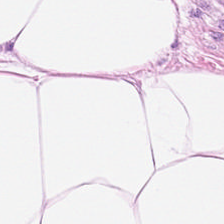H&E. The predominant tissue is adipose.
